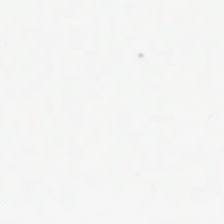Hematoxylin and eosin — This patch shows background (no tissue).
